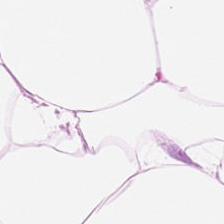Hematoxylin and eosin · 0.5 microns per pixel · FFPE tissue section — Tissue class = adipose tissue.
